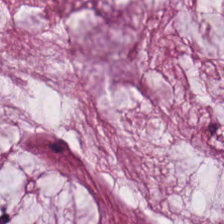Q: Identify the tissue.
A: It is mucus.
